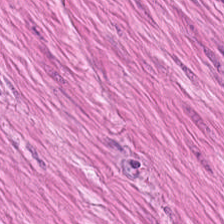0.5 µm per pixel · formalin-fixed paraffin-embedded section · hematoxylin and eosin — Tissue class: smooth-muscle tissue.
